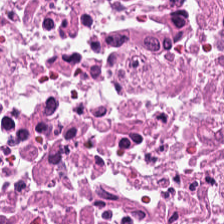H&E — cellular debris.
